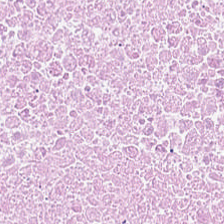H&E stain — {"tissue_type": "debris"}
